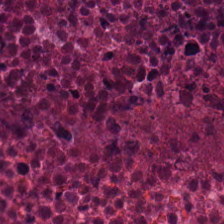Q: What is shown here?
A: This is debris.
